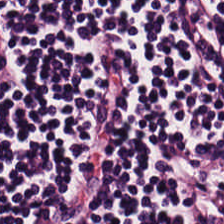224×224 px patch · H&E-stained tissue section · FFPE — This patch shows lymphoid infiltrate.
